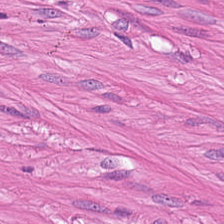Stain: hematoxylin-and-eosin stained section.
Acquisition: brightfield microscopy.
Tissue: smooth-muscle tissue.
